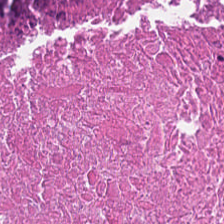Impression → necrotic debris.
